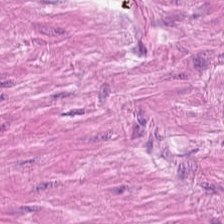0.5 microns per pixel; H&E stain.
Classification — smooth-muscle tissue.
